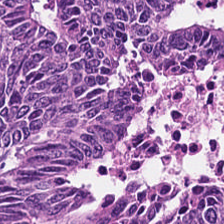Hematoxylin-and-eosin stained section — The tissue class is adenocarcinoma.
